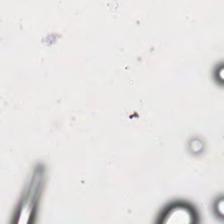Hematoxylin and eosin — Content: no tissue.
